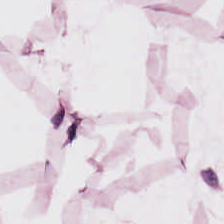Stain: hematoxylin-and-eosin stained section.
Tile size: 224×224 px patch.
Tissue class: adipocytes.
